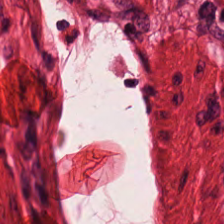WSI patch; H&E-stained tissue section. The tissue class is smooth muscle.
